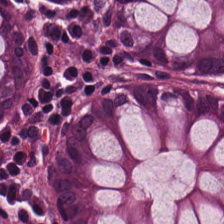Histology — normal colonic mucosa.
